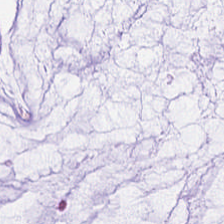This patch shows extracellular mucin.
